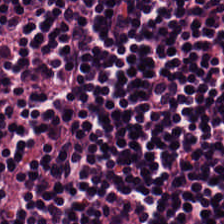H&E-stained tissue section — The tissue is lymphocyte aggregate.
